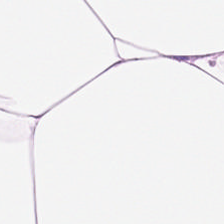This patch shows adipocytes.
